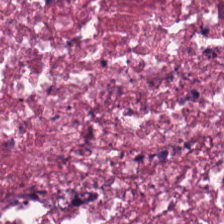0.5 microns per pixel. Hematoxylin-and-eosin stained section.
The tissue here is debris.
